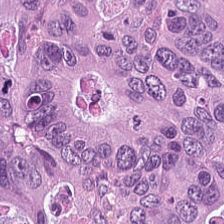The tissue here is colorectal adenocarcinoma epithelium.
